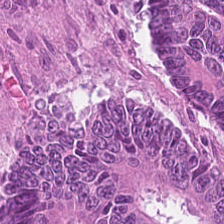224×224 px tile. H&E.
The tissue here is malignant epithelium.
